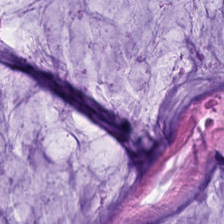FFPE tissue section; H&E stain.
Q: What tissue type is shown here?
A: This is mucus.
